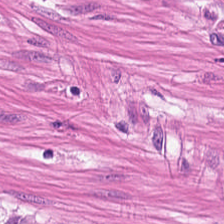Tissue type = muscularis.
